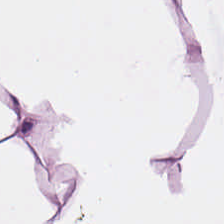Stain: H&E-stained tissue section.
Resolution: 20× equivalent magnification.
Predominant tissue: adipose tissue.
